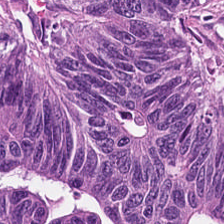Hematoxylin-and-eosin stained section — Predominantly adenocarcinoma.
